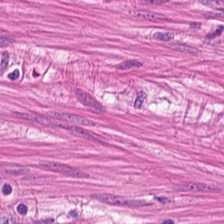Hematoxylin-and-eosin stained section. Histology → smooth muscle.
